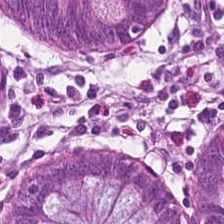H&E stain. This field is benign colonic mucosa.
